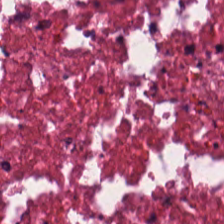H&E stain · formalin-fixed paraffin-embedded section · 224×224 px patch. Q: Classify this patch.
A: Debris.
